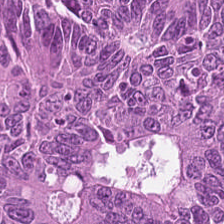Hematoxylin and eosin; 20× equivalent magnification; FFPE.
This patch shows adenocarcinoma.
